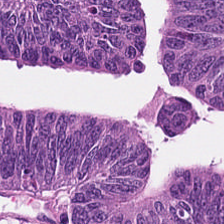Hematoxylin and eosin. Brightfield microscopy. Colorectal adenocarcinoma.
